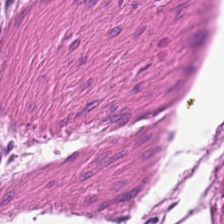Muscularis.
